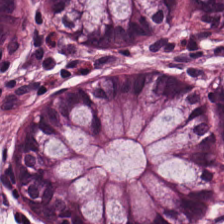Brightfield microscopy · H&E. The tissue class is benign colonic mucosa.
